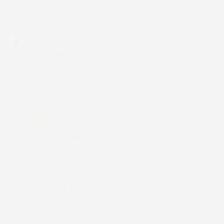Hematoxylin and eosin · 224×224 px tile · FFPE tissue section.
Classification: empty background.
